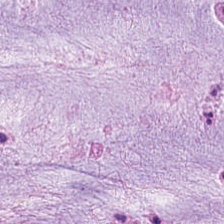Hematoxylin-and-eosin stained section — Histology → mucus.
